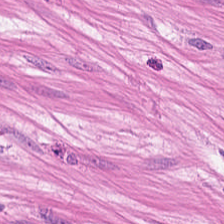Stain: H&E stain.
Acquisition: brightfield microscopy.
Preparation: FFPE tissue section.
Classification: muscularis.
